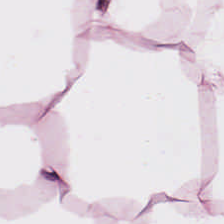Hematoxylin-and-eosin stained section — Q: What tissue is shown?
A: Adipocytes.
